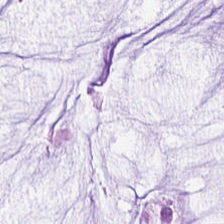224×224 pixel tile. 0.5 µm/px. Hematoxylin and eosin — The predominant tissue is extracellular mucin.
